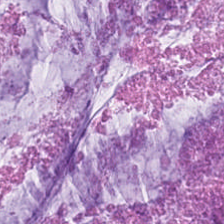Q: What does this patch show?
A: It is extracellular mucin.
